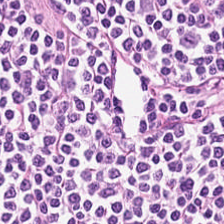H&E-stained tissue section.
Predominantly lymphocyte aggregate.
